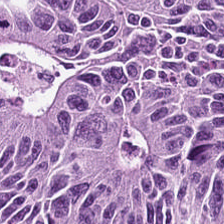H&E. Histology — colorectal adenocarcinoma.
